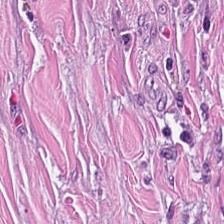Hematoxylin-and-eosin stained section.
Histology — tumor-associated stroma.
